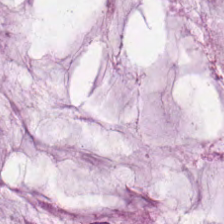Tissue type — mucus.
